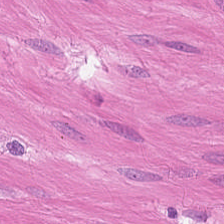Tissue type: muscularis.
